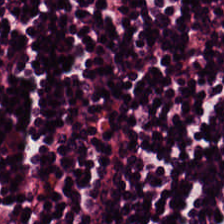Hematoxylin and eosin.
Q: Identify the tissue.
A: Lymphocyte aggregate.
